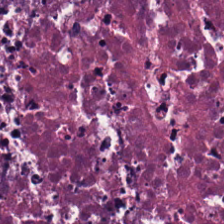WSI patch; 0.5 microns per pixel; H&E — This field is necrotic debris.
